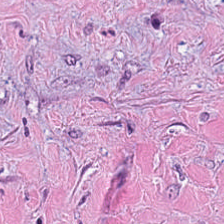224×224 px patch · 0.5 µm/px · H&E stain.
Cancer-associated stroma.
